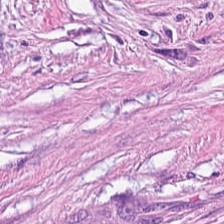H&E-stained tissue section; 0.5 µm/px; formalin-fixed paraffin-embedded section.
Predominant tissue = desmoplastic stroma.
